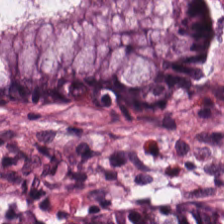Q: What is shown here?
A: This is non-neoplastic colon mucosa.
